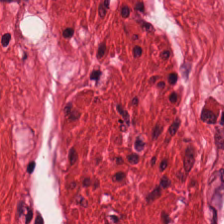Stain: hematoxylin and eosin.
Tile size: 224×224 pixel tile.
Preparation: FFPE.
Tissue type: muscularis.
